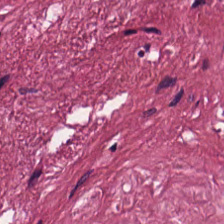Brightfield. Hematoxylin-and-eosin stained section.
Predominant tissue = desmoplastic stroma.
